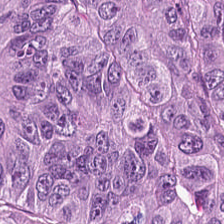H&E.
This patch shows malignant epithelium.
